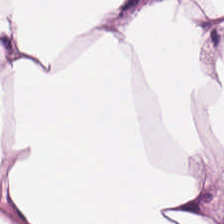Hematoxylin and eosin. Tissue: adipose tissue.
